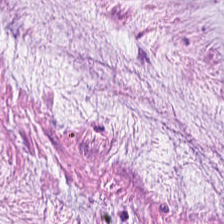Hematoxylin-and-eosin section: mucin.
